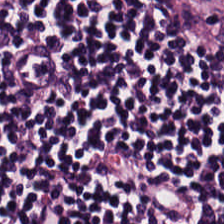Stain: hematoxylin and eosin.
Predominant tissue: lymphocyte aggregate.
